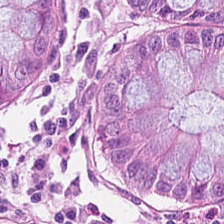Hematoxylin and eosin; brightfield microscopy. Showing benign colonic mucosa.
